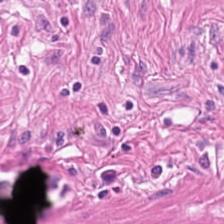224×224 px tile · WSI patch · H&E-stained tissue section — This patch shows muscularis.
